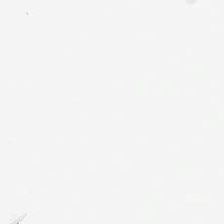Stain: hematoxylin and eosin.
Field content: background (no tissue).
